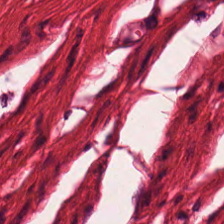Q: What is shown here?
A: Smooth-muscle tissue.
